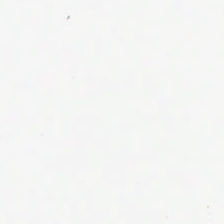Hematoxylin-and-eosin stained section — Classification — no tissue.
